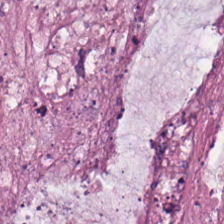224×224 px patch. 0.5 µm per pixel. Hematoxylin-and-eosin stained section.
The predominant tissue is mucin.
